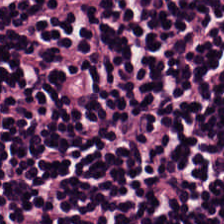H&E. Histology — lymphocyte aggregate.
